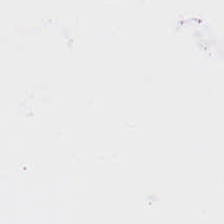No tissue present; background only.
